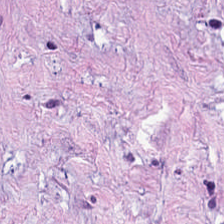Formalin-fixed paraffin-embedded section. Hematoxylin and eosin — Q: Identify the tissue.
A: Desmoplastic stroma.
